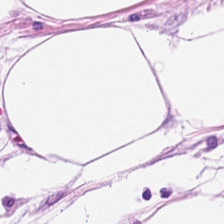Hematoxylin and eosin.
The classification is adipose.
